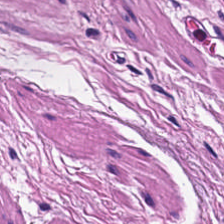Q: What tissue type is shown here?
A: The field shows smooth-muscle tissue.
